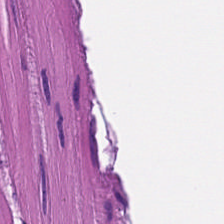Stain: H&E stain.
Predominant tissue: smooth muscle.
